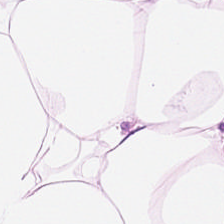224×224 pixel tile · H&E stain.
The classification is fat tissue.
